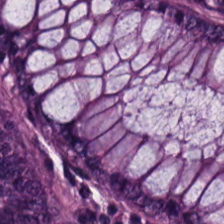H&E-stained tissue section. 0.5 microns per pixel — {"tissue_type": "non-neoplastic colon mucosa"}
